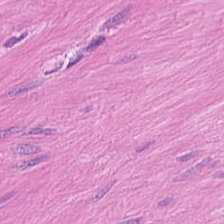H&E stain.
The predominant tissue is smooth-muscle tissue.
